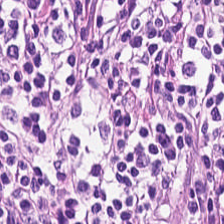0.5 µm per pixel · hematoxylin-and-eosin stained section. This patch shows lymphoid infiltrate.
